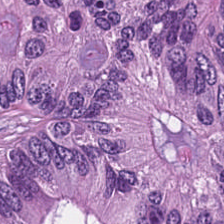Brightfield; H&E — This field is colorectal adenocarcinoma epithelium.
